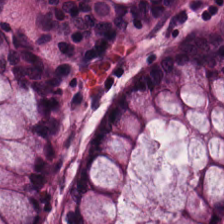Hematoxylin-and-eosin stained section; 0.5 µm/px; brightfield microscopy. Q: Identify the tissue.
A: Normal colonic mucosa.
